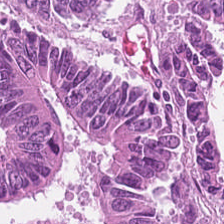Hematoxylin-and-eosin stained section.
{"tissue_type": "adenocarcinoma"}
